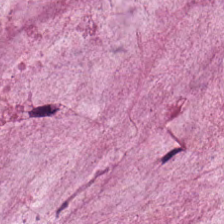224×224 px patch; H&E-stained tissue section. Showing mucus.
